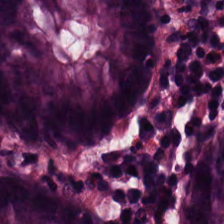0.5 microns per pixel · hematoxylin and eosin · WSI patch.
Predominantly normal colon mucosa.
